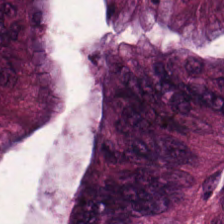Classification = tumor epithelium.
